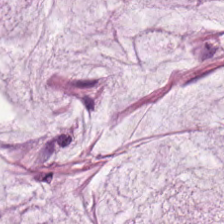0.5 microns per pixel; FFPE tissue section; hematoxylin and eosin — The tissue class is mucus.
